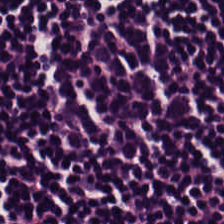Stain: H&E-stained tissue section.
Tissue type: lymphocytes.
